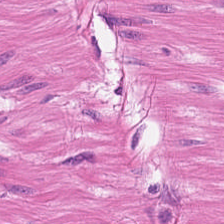Hematoxylin and eosin — This field is muscularis.
